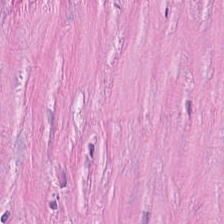0.5 µm/px; H&E-stained tissue section.
Predominantly tumor-associated stroma.
